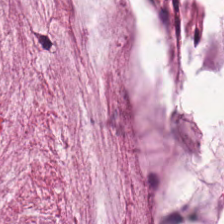H&E. 20× equivalent magnification.
This patch shows mucus.
